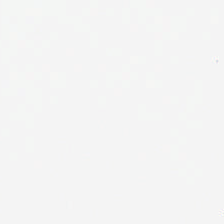WSI patch · hematoxylin and eosin. Empty background.
